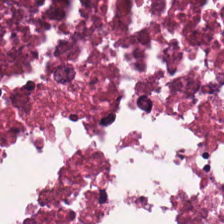Stain: H&E-stained tissue section.
Preparation: formalin-fixed paraffin-embedded section.
Resolution: 0.5 µm/px.
Tissue: cellular debris.
